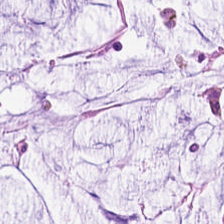H&E-stained tissue section. Brightfield microscopy. Formalin-fixed paraffin-embedded section. Impression → mucin.
